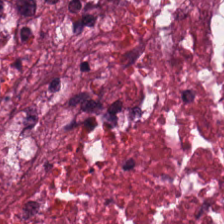Stain: hematoxylin-and-eosin stained section.
Tissue type: necrotic debris.
